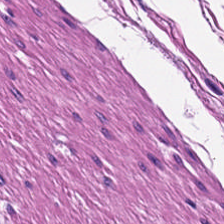H&E stain. 224×224 px tile — Q: Classify this patch.
A: It is smooth-muscle tissue.
